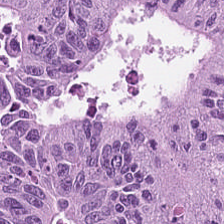WSI patch. H&E stain — Tumor epithelium.
